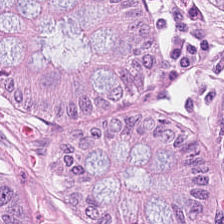H&E stain; brightfield. Q: Classify this patch.
A: It is normal colon mucosa.
